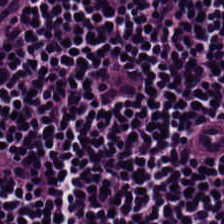Tissue type = lymphocyte aggregate.
